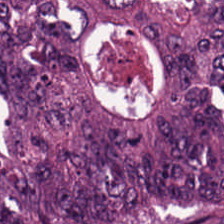Finding — tumor epithelium.
